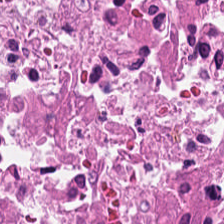H&E. The predominant tissue is debris.
